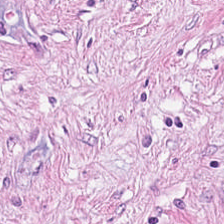Tissue = tumor stroma.
